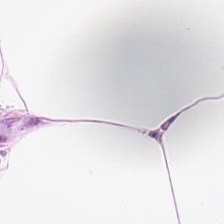Hematoxylin-and-eosin stained section; FFPE tissue section.
The tissue here is adipocytes.
